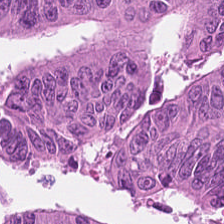H&E stain. Finding — adenocarcinoma.
